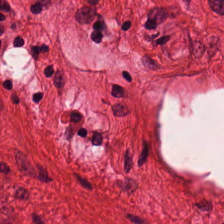H&E-stained tissue section; 224×224 px patch; brightfield microscopy.
Predominantly smooth-muscle tissue.
